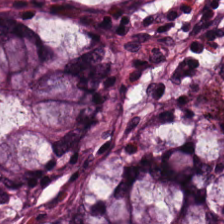Stain: H&E.
Predominant tissue: non-neoplastic colon mucosa.
